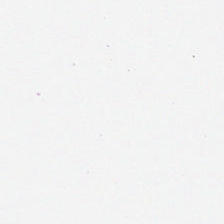H&E stain — Q: What does this patch show?
A: The field shows background (no tissue).
